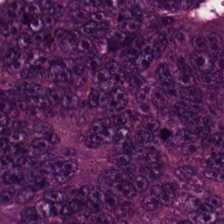FFPE; hematoxylin and eosin — The predominant tissue is malignant epithelium.
